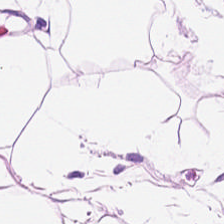FFPE · H&E · 224×224 px patch. This field is fat tissue.
